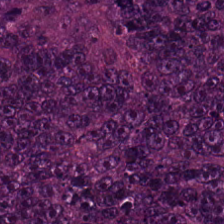224×224 pixel tile · H&E-stained tissue section. Q: What is shown here?
A: The field shows colorectal adenocarcinoma.
